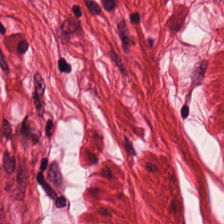Hematoxylin and eosin — The tissue here is muscularis.
